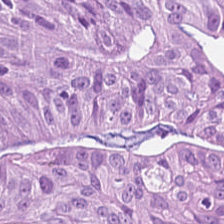H&E.
The tissue here is adenocarcinoma.
